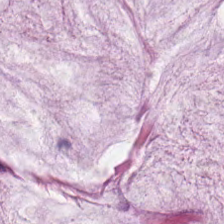Hematoxylin and eosin; 224×224 px tile; formalin-fixed paraffin-embedded section.
The tissue class is mucus.
